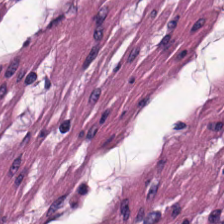FFPE. 224×224 px patch. Hematoxylin and eosin — This patch shows smooth muscle.
